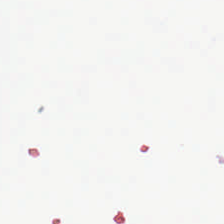Content: empty background.
